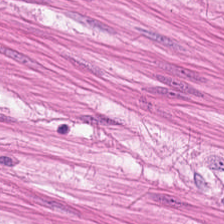H&E-stained tissue section showing smooth muscle.
